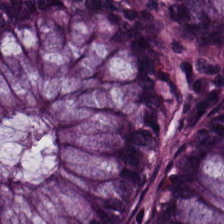Hematoxylin and eosin. Tissue: normal colonic mucosa.
